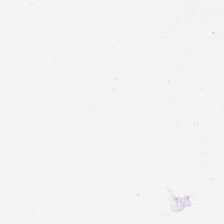H&E-stained tissue section; WSI patch. Finding → no tissue.
